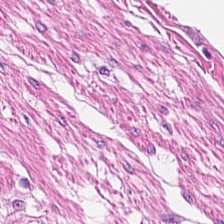Tissue type = muscularis.
